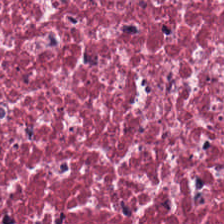The tissue here is desmoplastic stroma.
